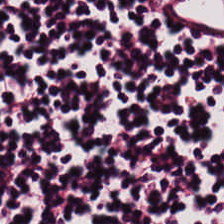Stain: H&E stain.
Tissue: lymphocyte aggregate.
